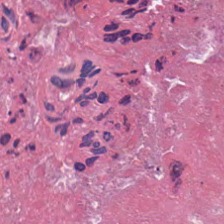Hematoxylin and eosin · brightfield microscopy — Histology → cellular debris.
